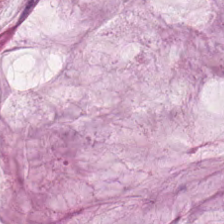Hematoxylin-and-eosin stained section — Predominant tissue = extracellular mucin.
